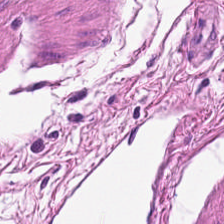H&E stain — {"tissue_type": "smooth muscle"}
